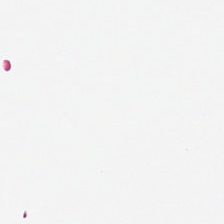H&E.
Histology → background.
